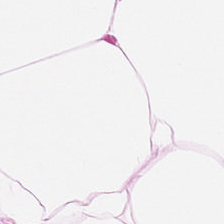0.5 µm/px. H&E-stained tissue section. Impression → fat tissue.
